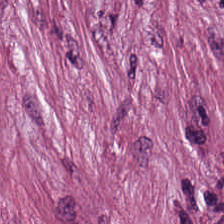Hematoxylin and eosin. Predominantly tumor stroma.
